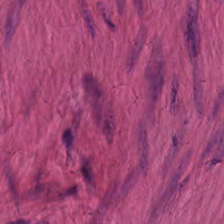H&E stain; 224×224 pixel tile — Q: Classify this patch.
A: The field shows smooth muscle.
